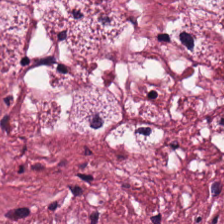H&E. Q: What type of tissue is this?
A: This is desmoplastic stroma.
